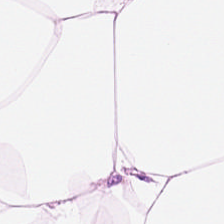Hematoxylin-and-eosin stained section · 224×224 px patch. {"tissue_type": "adipocytes"}
